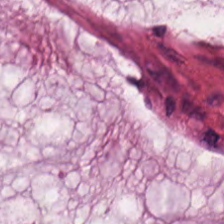Hematoxylin and eosin.
Tissue type: mucin.
